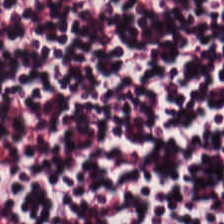FFPE tissue section. H&E stain.
The tissue here is lymphocytic infiltrate.
